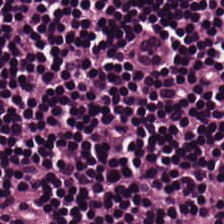FFPE · H&E stain · 224×224 px tile. Predominant tissue — lymphocytes.
